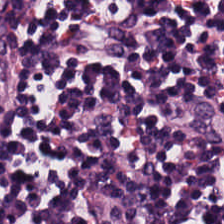Stain: H&E.
Preparation: FFPE tissue section.
Tile size: 224×224 pixel tile.
Predominant tissue: lymphocyte aggregate.
